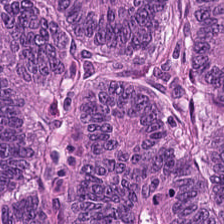Histology → malignant epithelium.
